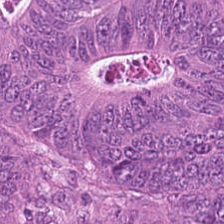224×224 px patch. H&E-stained tissue section. 0.5 microns per pixel. Predominant tissue: malignant epithelium.
